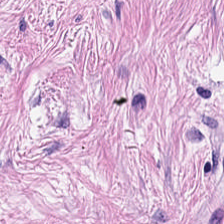H&E.
Showing desmoplastic stroma.
